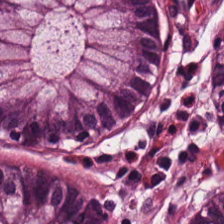Stain: H&E stain.
Resolution: 0.5 µm per pixel.
Tissue type: non-neoplastic colon mucosa.
